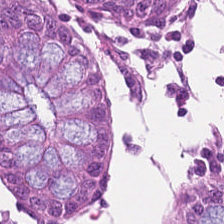H&E-stained tissue section.
Tissue = non-neoplastic colon mucosa.
